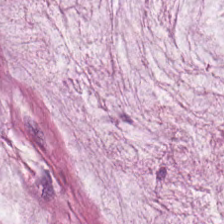Hematoxylin and eosin — Classification: extracellular mucin.
